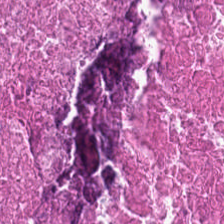H&E.
Q: What is shown in this field?
A: Cellular debris.
